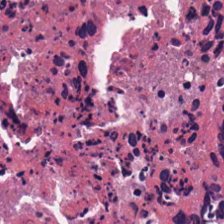H&E-stained section; the field shows cellular debris.
